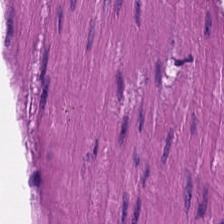H&E — smooth-muscle tissue.
